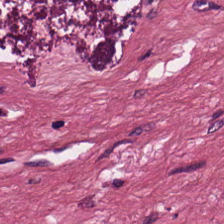Hematoxylin and eosin.
The tissue here is tumor-associated stroma.
